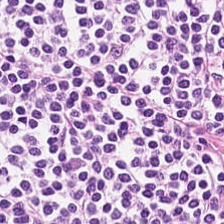224×224 px patch. H&E. FFPE tissue section.
This patch shows lymphoid infiltrate.
